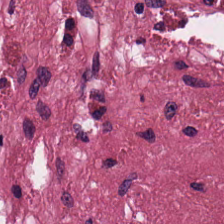Stain: H&E-stained tissue section.
Classification: tumor stroma.
